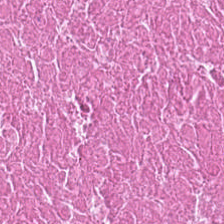H&E stain — Tissue type = debris.
